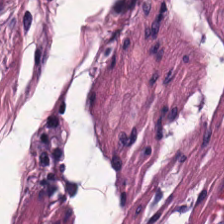224×224 pixel tile; FFPE tissue section; hematoxylin and eosin — Showing smooth muscle.
